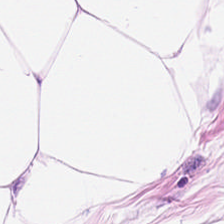This patch shows adipose.
